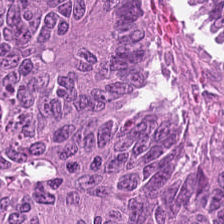Stain: H&E.
Acquisition: whole-slide-image patch.
Classification: adenocarcinoma.
